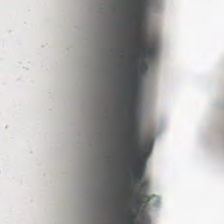This field is background (no tissue).
